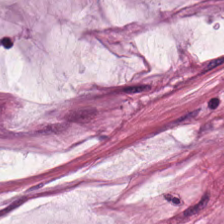Tissue type: extracellular mucin.
